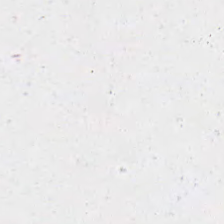Background (no tissue).
